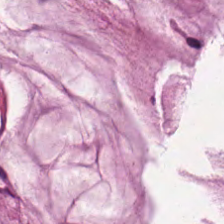WSI patch; H&E. Showing mucus.
